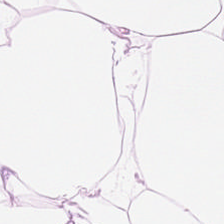H&E stain.
{"tissue_type": "adipose tissue"}
